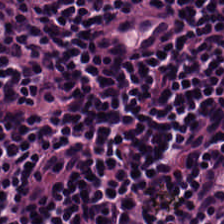Hematoxylin-and-eosin stained section · 224×224 pixel tile. Tissue type = lymphocytes.
